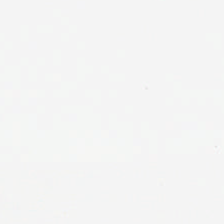Hematoxylin and eosin. Q: What is shown here?
A: It is no tissue.
